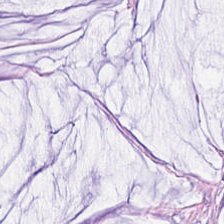H&E-stained tissue section.
Q: What is shown in this field?
A: It is extracellular mucin.
